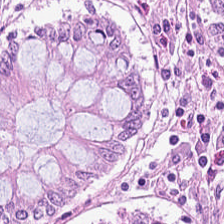H&E-stained tissue section; 0.5 µm/px; brightfield microscopy — This field is normal colon mucosa.
